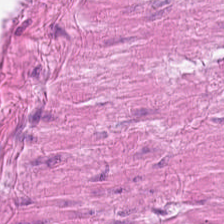H&E.
Q: Classify this patch.
A: Smooth-muscle tissue.
